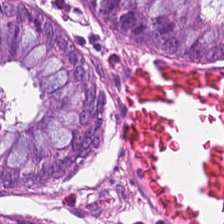224×224 px tile · hematoxylin-and-eosin stained section — Q: What is shown here?
A: This is benign colonic mucosa.
